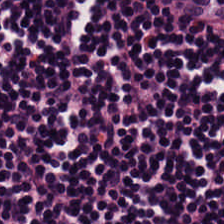H&E stain. This field is lymphocyte aggregate.
